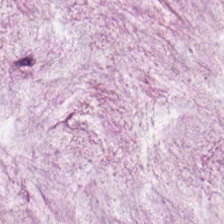Q: Identify the tissue.
A: This is extracellular mucin.
